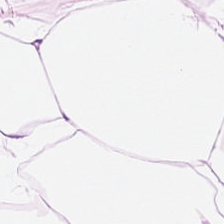Hematoxylin-and-eosin stained section.
This patch shows fat tissue.
